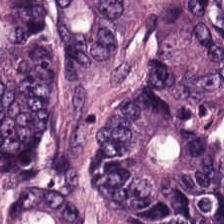H&E.
Showing malignant epithelium.
